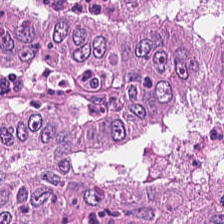WSI patch · H&E. Tissue class: colorectal adenocarcinoma.
